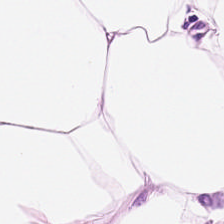20× equivalent magnification. H&E stain.
Classification — adipose.
